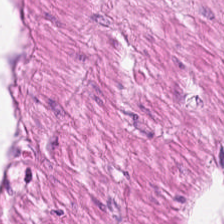H&E stain — Predominantly smooth-muscle tissue.
